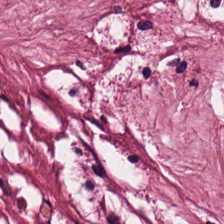H&E — Showing tumor-associated stroma.
